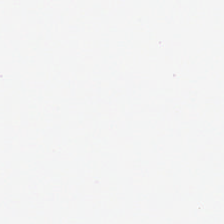H&E stain. 20× equivalent magnification.
Q: Classify this patch.
A: This is background.
